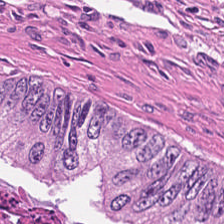H&E stain. Classification: cellular debris.
